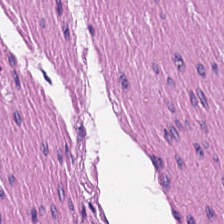H&E · whole-slide-image patch · 0.5 microns per pixel.
Classification = smooth muscle.
